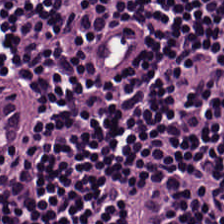Formalin-fixed paraffin-embedded section; H&E stain — Q: What does this patch show?
A: This is lymphocytes.
